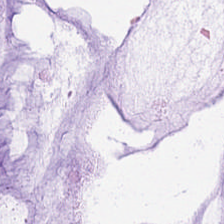Stain: H&E stain.
Tissue: mucus.
